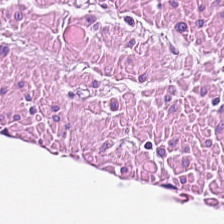H&E stain; 20× equivalent magnification; FFPE — Histology — muscularis.
